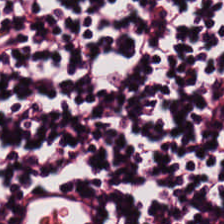0.5 microns per pixel. Hematoxylin and eosin.
Histology — lymphoid infiltrate.
